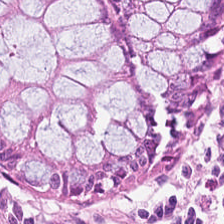H&E — Q: What is shown here?
A: Benign colonic mucosa.
